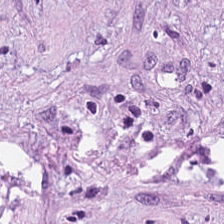20× equivalent magnification · H&E. Tissue type: desmoplastic stroma.
